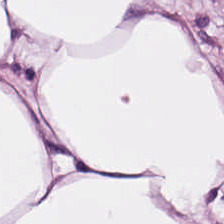Q: What does this patch show?
A: The field shows adipocytes.
